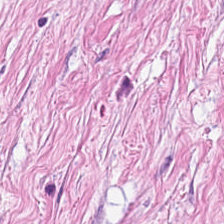Formalin-fixed paraffin-embedded section · hematoxylin and eosin — Classification — tumor stroma.
